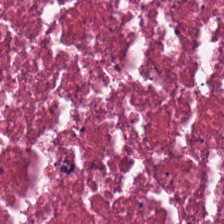H&E stain. This patch shows debris.
